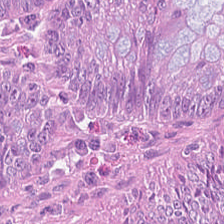Hematoxylin and eosin · FFPE.
Q: What is shown in this field?
A: The field shows colorectal adenocarcinoma.
